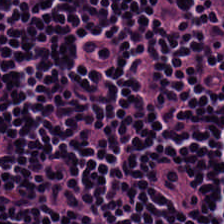Hematoxylin and eosin — Tissue: lymphocytic infiltrate.
